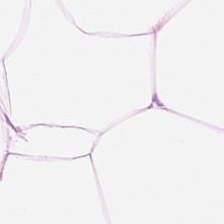H&E; formalin-fixed paraffin-embedded section; 0.5 microns per pixel. This field is fat tissue.
